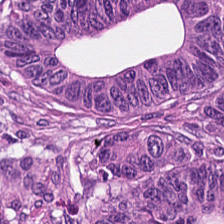Tissue type: adenocarcinoma.
